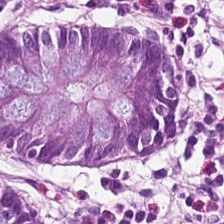Hematoxylin and eosin; 20× equivalent magnification; 224×224 px tile. Q: What tissue is shown?
A: This is normal colonic mucosa.
